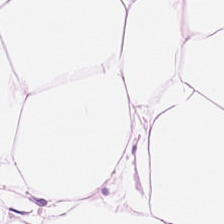Brightfield. Hematoxylin and eosin — Fat tissue.
